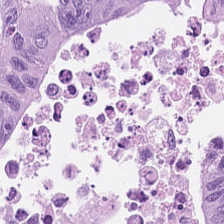Hematoxylin and eosin · brightfield microscopy.
Predominantly colorectal adenocarcinoma epithelium.
